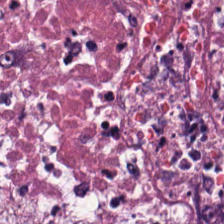H&E-stained tissue section showing debris.
